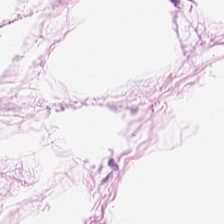Hematoxylin and eosin. This patch shows adipose.
